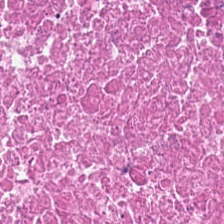H&E-stained tissue section — This patch shows necrotic debris.
